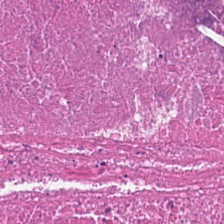H&E. The tissue here is cellular debris.
